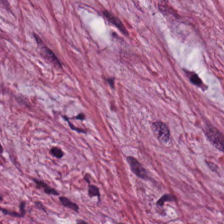Hematoxylin-and-eosin stained section · FFPE.
Q: Identify the tissue.
A: It is tumor stroma.
